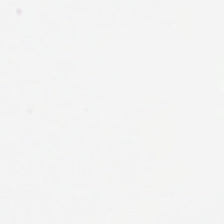H&E-stained tissue section. 0.5 µm per pixel. FFPE tissue section — Impression → background (no tissue).
